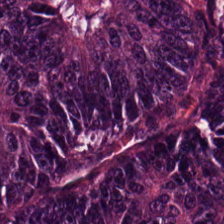H&E-stained tissue section. WSI patch — This field is malignant epithelium.
